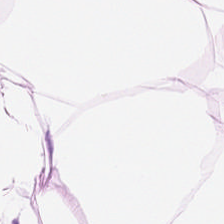224×224 px patch; hematoxylin and eosin — Adipose tissue.
